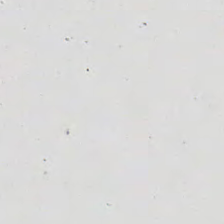H&E-stained tissue section. Q: Classify this patch.
A: This is background (no tissue).
